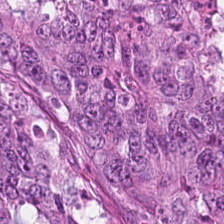H&E-stained section; the field shows colorectal adenocarcinoma.
